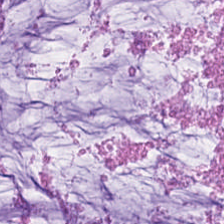Histology — extracellular mucin.
